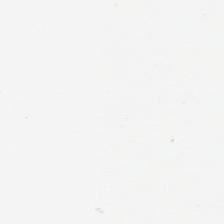FFPE; H&E stain — No tissue present; background only.
